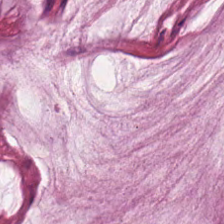Impression → mucin.
